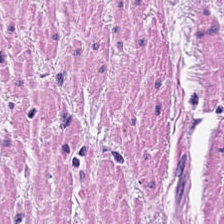Brightfield · FFPE tissue section · H&E stain.
Q: What tissue type is shown here?
A: Smooth muscle.
